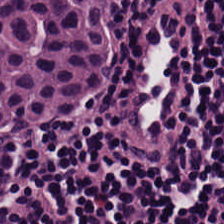Brightfield microscopy · H&E stain.
The predominant tissue is lymphocyte aggregate.
